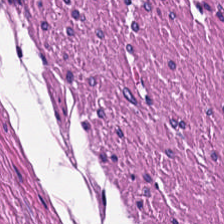Q: What tissue type is shown here?
A: Muscularis.
